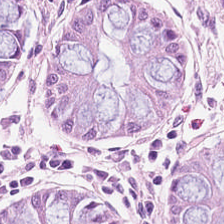224×224 px tile; H&E stain.
{"tissue_type": "benign colonic mucosa"}
